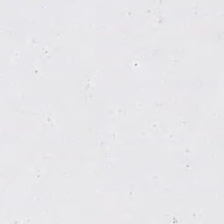The field content is background (no tissue).
